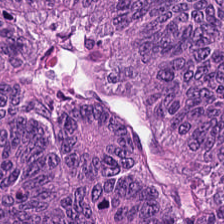H&E.
Finding → malignant epithelium.
